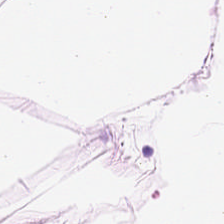Hematoxylin and eosin — This patch shows fat tissue.
